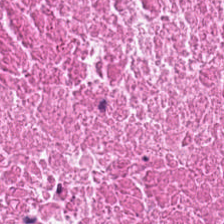H&E-stained tissue section. Tissue class — cellular debris.
